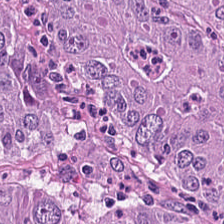H&E stain · brightfield microscopy · 0.5 µm/px. The tissue here is adenocarcinoma.
